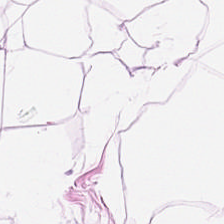Stain: hematoxylin-and-eosin stained section.
Resolution: 0.5 µm/px.
Tissue class: adipocytes.
